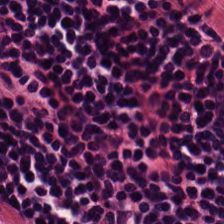H&E-stained tissue section · formalin-fixed paraffin-embedded section.
This patch shows lymphocyte aggregate.
